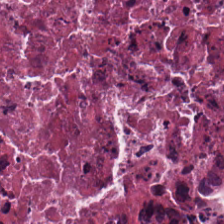H&E-stained tissue section. Tissue = debris.
